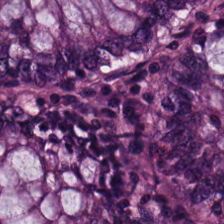H&E · FFPE tissue section — Q: What is shown here?
A: Normal colonic mucosa.
